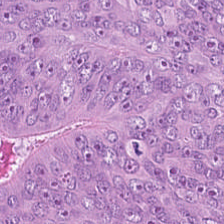Hematoxylin and eosin — Q: What is shown in this field?
A: This is malignant epithelium.
